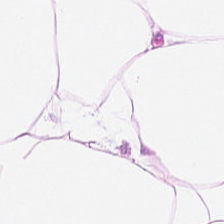H&E stain.
The predominant tissue is adipose tissue.
